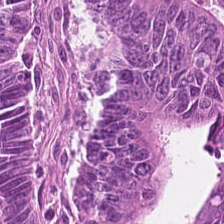Stain: hematoxylin-and-eosin stained section.
Tissue: malignant epithelium.
